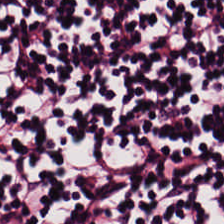H&E-stained section; the field shows lymphoid infiltrate.
